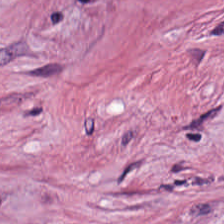H&E-stained tissue section.
Impression — tumor stroma.
